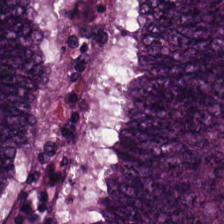Formalin-fixed paraffin-embedded section · hematoxylin and eosin — Predominantly colorectal adenocarcinoma epithelium.
